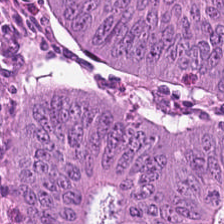Showing malignant epithelium.
